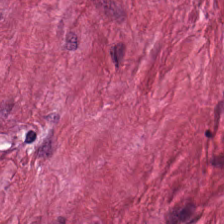H&E — This field is tumor stroma.
